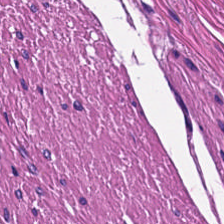Smooth muscle.
